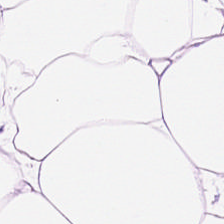Formalin-fixed paraffin-embedded section · 20× equivalent magnification · H&E stain.
Adipose.
